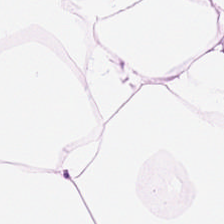Predominant tissue: fat tissue.
